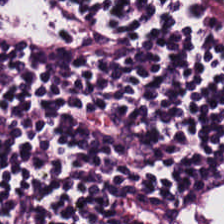Lymphocyte aggregate.
